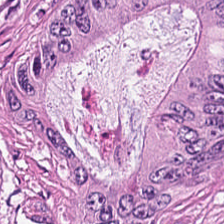224×224 px tile. Hematoxylin and eosin. WSI patch.
Tissue class — malignant epithelium.
